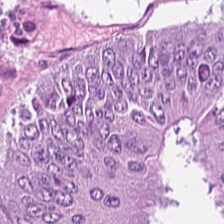H&E stain · whole-slide-image patch · 224×224 pixel tile — {"tissue_type": "malignant epithelium"}
